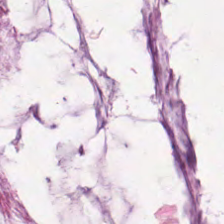224×224 px patch; hematoxylin-and-eosin stained section; 0.5 microns per pixel — Classification — extracellular mucin.
